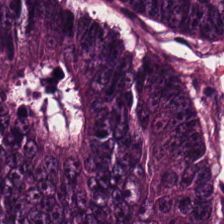The classification is colorectal adenocarcinoma.
